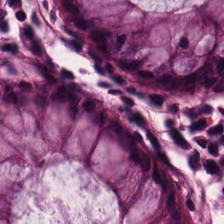Predominantly normal colon mucosa.
